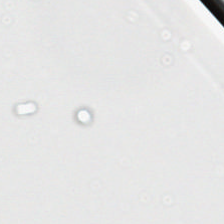Hematoxylin and eosin — Q: What is shown here?
A: It is empty background.
